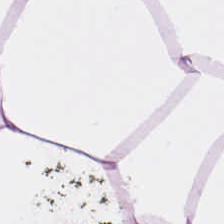Brightfield. Hematoxylin and eosin. Tissue type — adipose.
